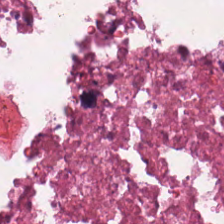FFPE tissue section. Hematoxylin and eosin — Debris.
